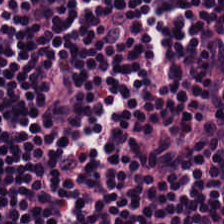Tissue class — lymphocytes.
